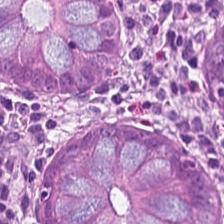H&E stain. {"tissue_type": "normal colonic mucosa"}
